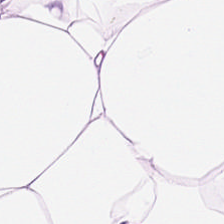H&E. Tissue type — fat tissue.
